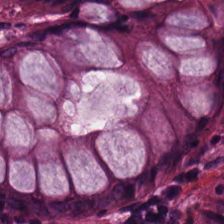H&E — {"tissue_type": "normal colon mucosa"}
